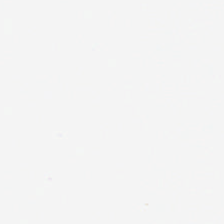Hematoxylin and eosin — Background (no tissue).
